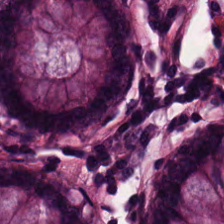Hematoxylin and eosin.
The predominant tissue is normal colonic mucosa.
